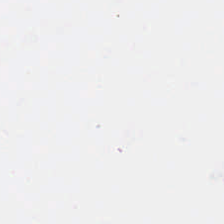Impression → empty background.
